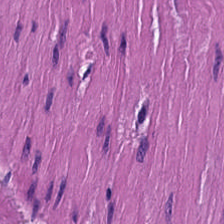20× equivalent magnification; WSI patch; hematoxylin-and-eosin stained section.
This field is smooth muscle.
